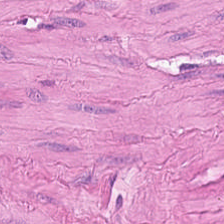The classification is smooth-muscle tissue.
